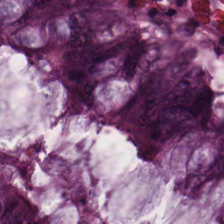Hematoxylin and eosin — Showing non-neoplastic colon mucosa.
